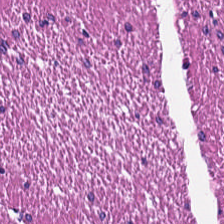WSI patch. H&E. 0.5 µm per pixel. Q: What is the predominant tissue type?
A: The field shows smooth-muscle tissue.
